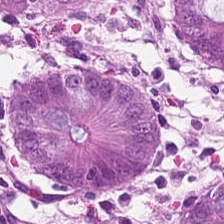H&E stain; 0.5 µm per pixel; 224×224 pixel tile.
The predominant tissue is benign colonic mucosa.
